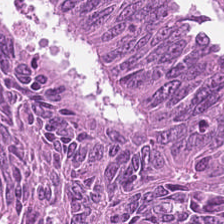224×224 px tile · hematoxylin-and-eosin stained section · 0.5 µm per pixel. Q: What tissue is shown?
A: Adenocarcinoma.
